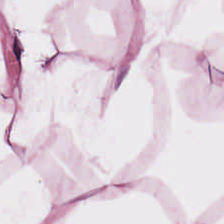Stain: H&E-stained tissue section.
Tissue class: fat tissue.
